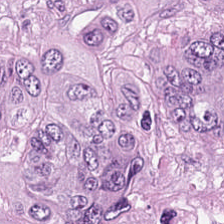H&E-stained tissue section — The tissue type is adenocarcinoma.
